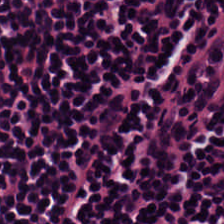Predominantly lymphocytic infiltrate.
